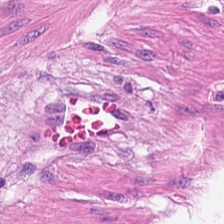Brightfield. H&E-stained tissue section. Formalin-fixed paraffin-embedded section — Classification = smooth muscle.
